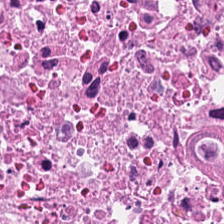Impression — debris.
